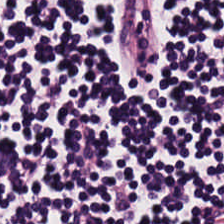H&E-stained tissue section · brightfield. Classification — lymphocytic infiltrate.
